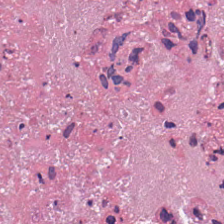H&E-stained tissue section; brightfield microscopy.
Classification — debris.
